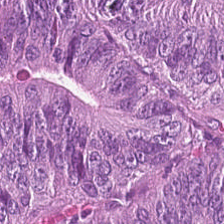0.5 µm per pixel · FFPE · hematoxylin-and-eosin stained section. Predominantly colorectal adenocarcinoma epithelium.
